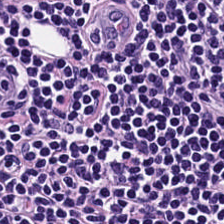H&E. Q: Classify this patch.
A: It is lymphoid infiltrate.
